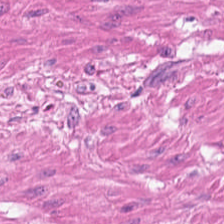Stain: H&E stain.
Resolution: 0.5 microns per pixel.
Tissue class: smooth-muscle tissue.
